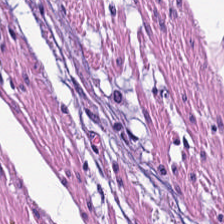Stain: H&E stain.
Tissue type: smooth-muscle tissue.
